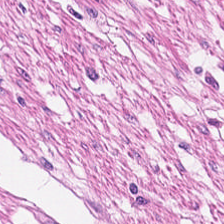FFPE · hematoxylin and eosin · 0.5 microns per pixel. This patch shows smooth muscle.
